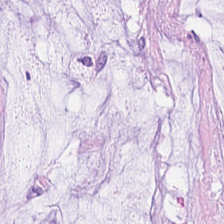Stain: hematoxylin-and-eosin stained section.
Tissue: mucin.
